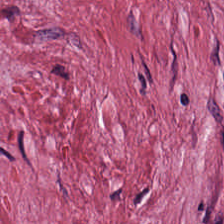Q: What tissue type is shown here?
A: Tumor stroma.
